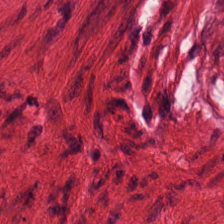H&E stain.
Histology — smooth muscle.
